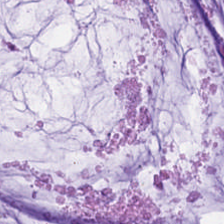Stain: H&E-stained tissue section.
Tissue: mucus.
